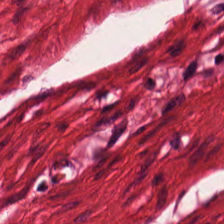H&E-stained tissue section. Smooth muscle.
